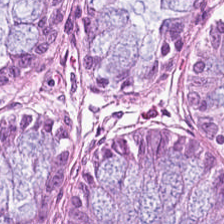Stain: hematoxylin-and-eosin stained section.
Tissue: normal colon mucosa.
